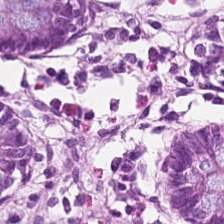Hematoxylin-and-eosin stained section — Q: What does this patch show?
A: This is normal colonic mucosa.
